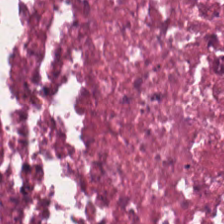Formalin-fixed paraffin-embedded section. 224×224 px patch. H&E-stained tissue section.
Tissue = necrotic debris.
